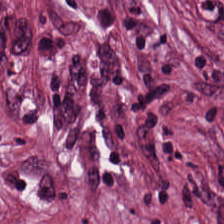Histology → cancer-associated stroma.
